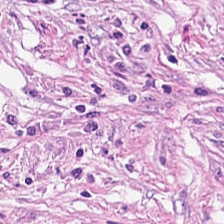H&E — {"tissue_type": "tumor-associated stroma"}
